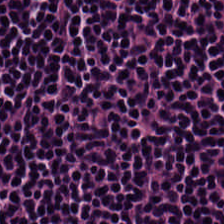H&E-stained section; the field shows lymphocyte aggregate.
